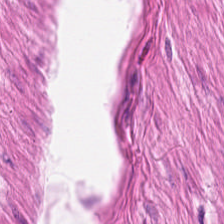Q: What tissue type is shown here?
A: It is smooth-muscle tissue.
